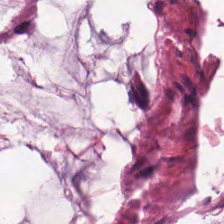Mucus.
